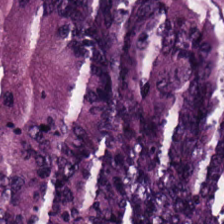H&E stain.
Tissue type = malignant epithelium.
